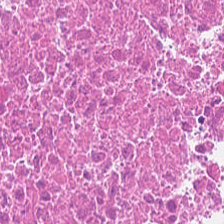Stain: H&E-stained tissue section.
Tissue: cellular debris.
